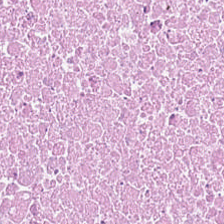Hematoxylin and eosin — This patch shows debris.
